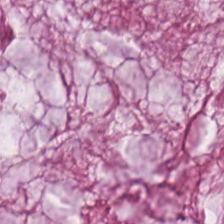H&E stain · 224×224 pixel tile.
Finding → extracellular mucin.
